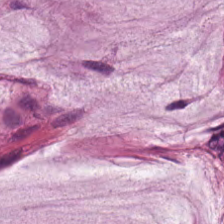This patch shows mucin.
